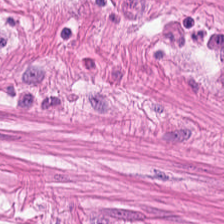H&E-stained tissue section. WSI patch.
This field is smooth muscle.
